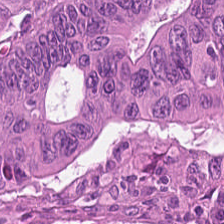H&E stain.
This field is adenocarcinoma.
